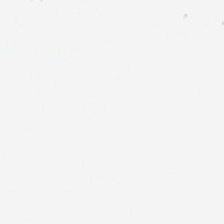Hematoxylin and eosin. This field is background (no tissue).
